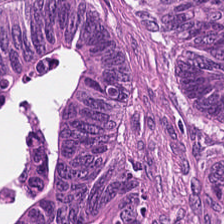H&E-stained tissue section. WSI patch.
The predominant tissue is adenocarcinoma.
